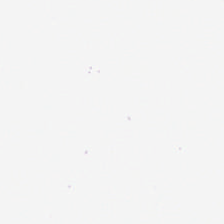Formalin-fixed paraffin-embedded section; 0.5 µm/px; H&E stain — Classification: background (no tissue).
